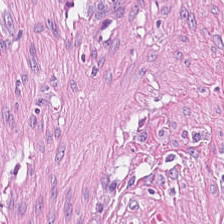Hematoxylin and eosin. Q: What is shown here?
A: The field shows tumor stroma.
